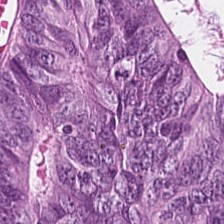Q: What tissue type is shown here?
A: Malignant epithelium.
